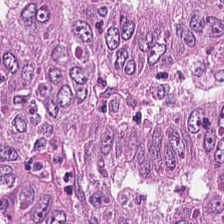Tissue type — tumor epithelium.
